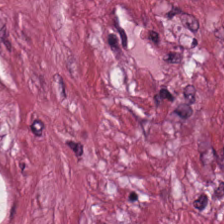This patch shows desmoplastic stroma.
